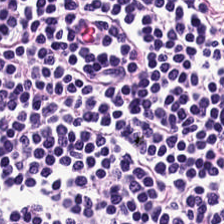H&E — Impression — lymphoid infiltrate.
